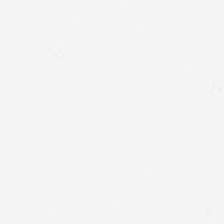Stain: H&E stain.
Resolution: 20× equivalent magnification.
Acquisition: brightfield.
Classification: empty background.
